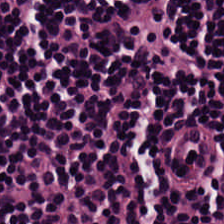FFPE; H&E-stained tissue section.
Classification: lymphocytic infiltrate.
